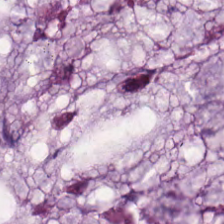Brightfield · H&E-stained tissue section.
Histology → extracellular mucin.
